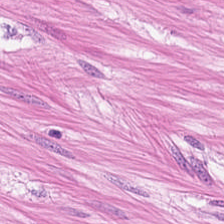H&E-stained tissue section.
Predominantly muscularis.
